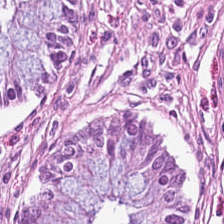0.5 µm/px · H&E stain. Histology → non-neoplastic colon mucosa.
